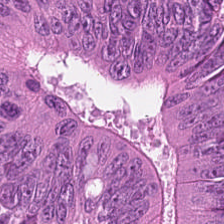Hematoxylin-and-eosin stained section.
Tissue class: adenocarcinoma.
